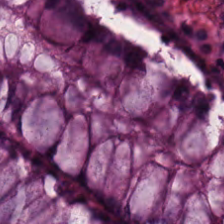H&E. Whole-slide-image patch. Predominantly normal colonic mucosa.
